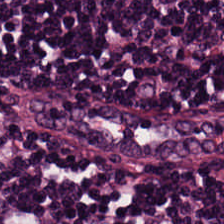Predominantly lymphocytic infiltrate.
